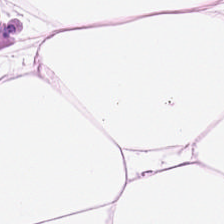{"tissue_type": "fat tissue"}
